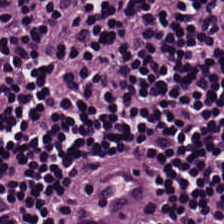224×224 pixel tile; hematoxylin-and-eosin stained section — Predominantly lymphocytes.
